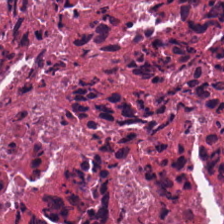FFPE. Brightfield. H&E-stained tissue section. Impression — necrotic debris.
